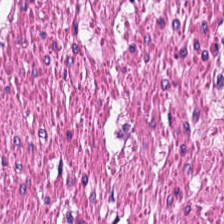H&E.
This patch shows smooth muscle.
